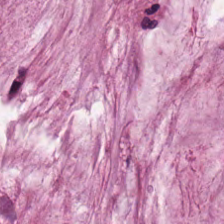Hematoxylin and eosin. {"tissue_type": "mucus"}
